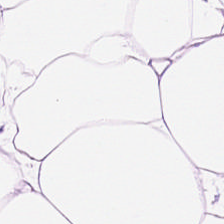FFPE tissue section. H&E-stained tissue section. Predominantly fat tissue.
